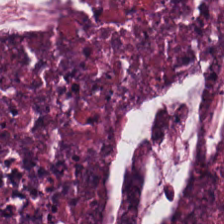Hematoxylin and eosin. Brightfield microscopy. Finding → necrotic debris.
